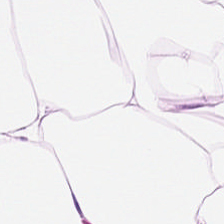H&E.
This patch shows adipose tissue.
